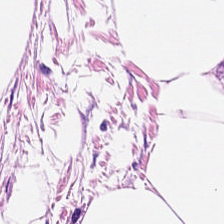Hematoxylin and eosin. The tissue class is adipose tissue.
